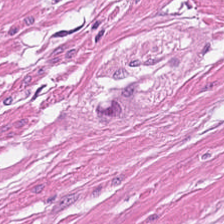Stain: H&E-stained tissue section.
Preparation: FFPE.
Classification: muscularis.
